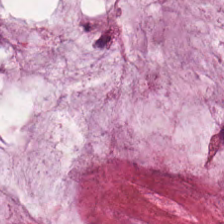Hematoxylin and eosin — Tissue type: mucin.
